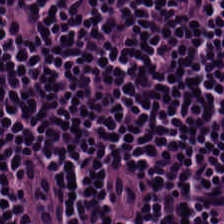224×224 px patch · H&E-stained tissue section. Q: What type of tissue is this?
A: It is lymphocyte aggregate.
